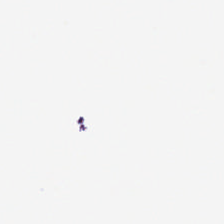H&E stain.
Q: What is shown in this field?
A: It is empty background.
